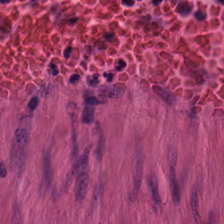Stain: H&E-stained tissue section.
Resolution: 20× equivalent magnification.
Tissue class: smooth muscle.
